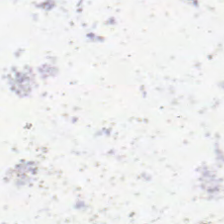Formalin-fixed paraffin-embedded section. H&E-stained tissue section. Histology → no tissue.
